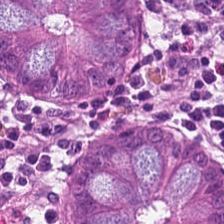Stain: hematoxylin-and-eosin stained section.
Classification: normal colonic mucosa.
